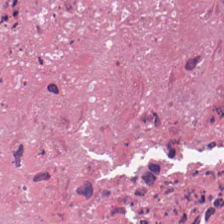20× equivalent magnification · hematoxylin and eosin · 224×224 px patch.
The tissue class is necrotic debris.
